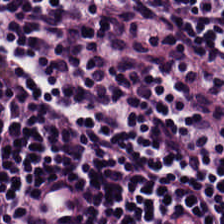Q: What tissue type is shown here?
A: This is lymphocytes.
